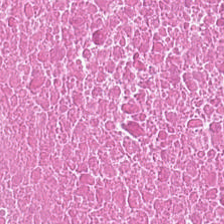224×224 pixel tile; hematoxylin and eosin; 0.5 microns per pixel — Predominant tissue = necrotic debris.
